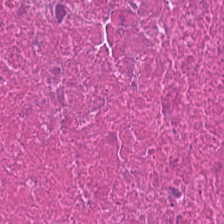H&E-stained tissue section. Finding — cellular debris.
